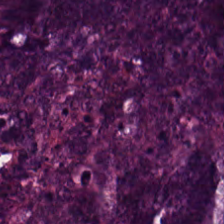Stain: H&E-stained tissue section.
Classification: colorectal adenocarcinoma.
